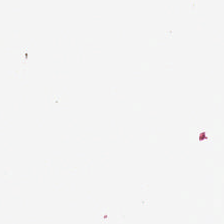H&E stain. Finding → background.
